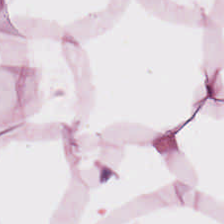Brightfield microscopy. Hematoxylin and eosin.
Q: What is shown here?
A: Fat tissue.
